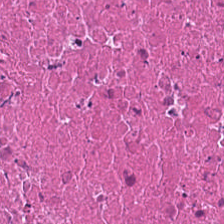H&E-stained tissue section; brightfield microscopy — Showing debris.
